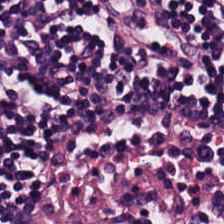FFPE; whole-slide-image patch; H&E-stained tissue section — Predominantly lymphocytes.
